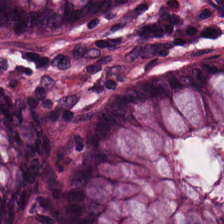H&E-stained section; the field shows non-neoplastic colon mucosa.
